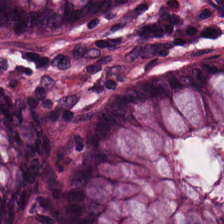H&E-stained section; the field shows non-neoplastic colon mucosa.
